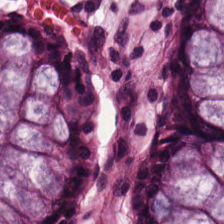Hematoxylin-and-eosin stained section — The predominant tissue is non-neoplastic colon mucosa.
